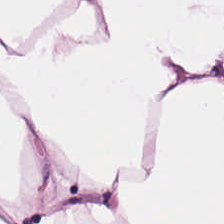H&E stain · 224×224 px tile. Tissue class = adipose tissue.
